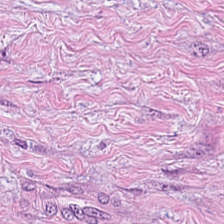H&E stain.
Q: What is shown in this field?
A: It is desmoplastic stroma.
